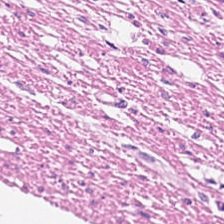H&E — {"tissue_type": "muscularis"}
